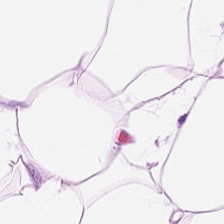Stain: H&E.
Acquisition: whole-slide-image patch.
Tile size: 224×224 pixel tile.
Predominant tissue: adipose tissue.
